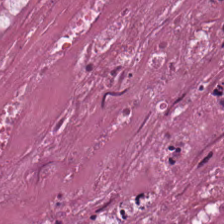224×224 pixel tile; hematoxylin-and-eosin stained section. Q: What tissue type is shown here?
A: Cellular debris.
